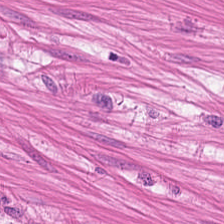H&E-stained tissue section; 0.5 µm/px — Q: What is shown in this field?
A: The field shows muscularis.
